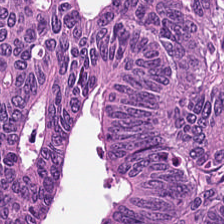H&E stain — This field is colorectal adenocarcinoma epithelium.
